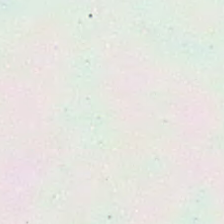Background — no tissue in this field.
